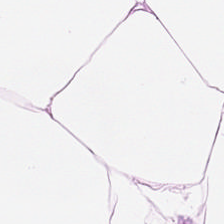H&E-stained section; the field shows adipose tissue.
